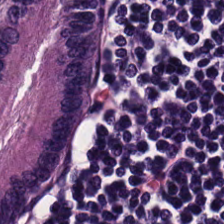H&E stain. Lymphocytes.
